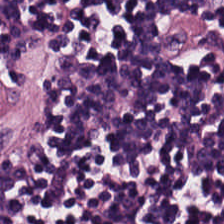H&E — This field is lymphocytic infiltrate.
